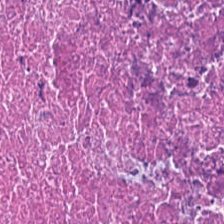H&E · 20× equivalent magnification · 224×224 pixel tile — Showing cellular debris.
